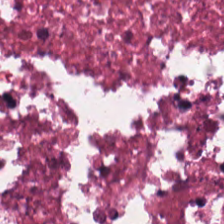Whole-slide-image patch; H&E.
Showing necrotic debris.
